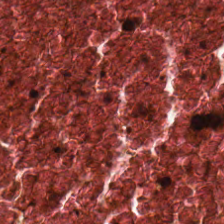Q: Classify this patch.
A: Cellular debris.
